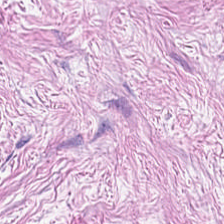224×224 px patch; H&E — Tumor-associated stroma.
